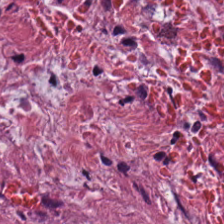H&E-stained section; the field shows tumor-associated stroma.
